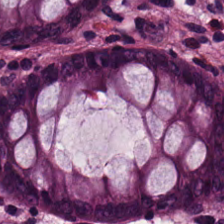H&E-stained tissue section.
Impression → non-neoplastic colon mucosa.
